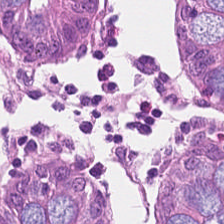Q: Identify the tissue.
A: Normal colonic mucosa.
